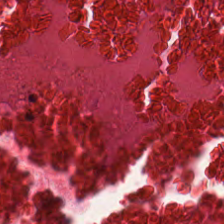H&E. The tissue class is cellular debris.
